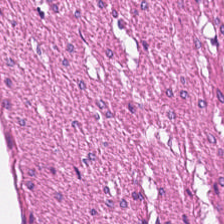This field is smooth-muscle tissue.
